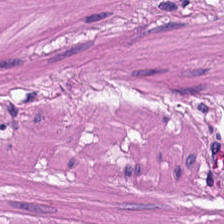H&E-stained tissue section; 0.5 µm/px; FFPE — Q: Identify the tissue.
A: It is muscularis.
